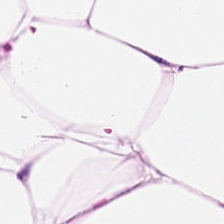Stain: H&E-stained tissue section.
Preparation: FFPE tissue section.
Resolution: 0.5 µm/px.
Classification: adipose tissue.
